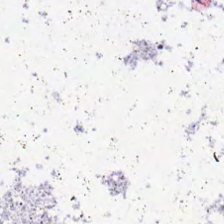Hematoxylin-and-eosin stained section. Brightfield. 224×224 pixel tile — Background — no tissue in this field.
